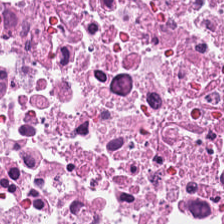Classification — cellular debris.
